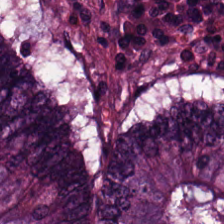Tissue class: adenocarcinoma.
